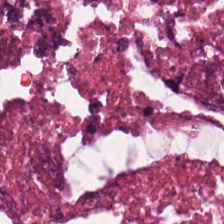224×224 pixel tile; 20× equivalent magnification; H&E — Tissue class — necrotic debris.
